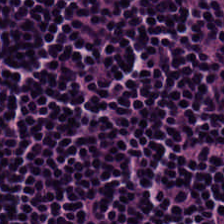Stain: H&E stain.
Tissue type: lymphocytes.
